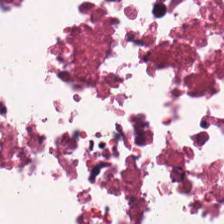H&E stain. 224×224 px tile. This patch shows cellular debris.
